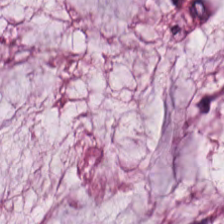Hematoxylin-and-eosin stained section — Tissue = mucus.
